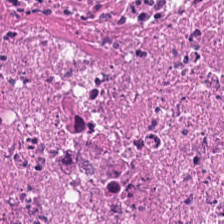H&E. Q: What tissue type is shown here?
A: The field shows debris.
